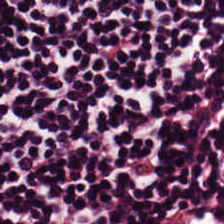Showing lymphocytic infiltrate.
